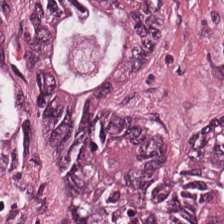H&E; whole-slide-image patch; 224×224 px tile. Finding — malignant epithelium.
